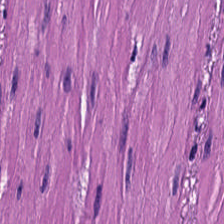Tissue type: smooth muscle.
